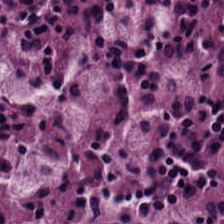Stain: H&E stain.
Preparation: formalin-fixed paraffin-embedded section.
Tile size: 224×224 px tile.
Tissue: lymphocyte aggregate.
